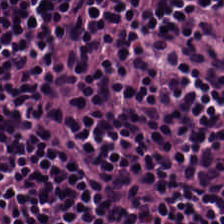224×224 pixel tile · H&E-stained tissue section.
The tissue here is lymphocytic infiltrate.
